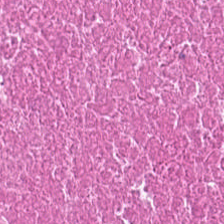H&E stain — Classification: debris.
